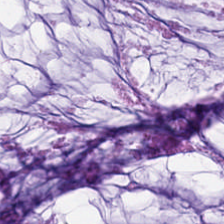Stain: H&E stain.
Preparation: formalin-fixed paraffin-embedded section.
Tile size: 224×224 pixel tile.
Tissue type: mucus.
